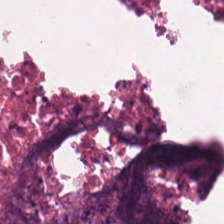Impression — debris.
